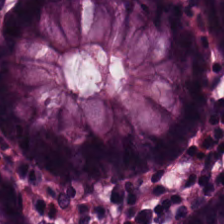H&E; FFPE — Benign colonic mucosa.
